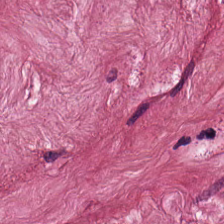Showing desmoplastic stroma.
